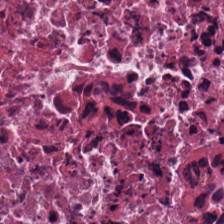H&E-stained tissue section; 20× equivalent magnification; FFPE tissue section.
Impression — debris.
